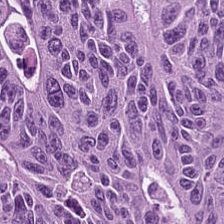H&E-stained tissue section. {"tissue_type": "colorectal adenocarcinoma"}
